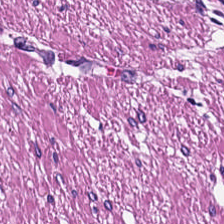H&E stain. FFPE tissue section. This patch shows smooth muscle.
